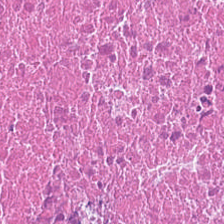H&E · 224×224 px tile — The predominant tissue is necrotic debris.
